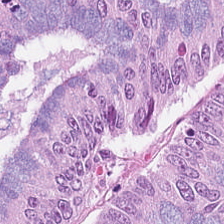H&E stain. Formalin-fixed paraffin-embedded section — Finding → colorectal adenocarcinoma.
